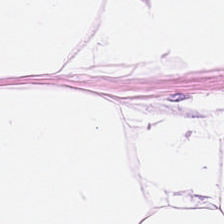Tissue class — fat tissue.
